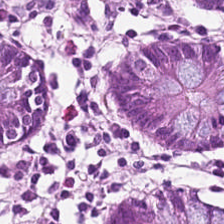Stain: hematoxylin and eosin.
Tissue: non-neoplastic colon mucosa.
